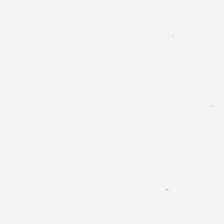20× equivalent magnification. Hematoxylin and eosin — Empty field — background.
